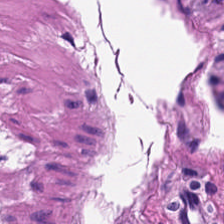224×224 px patch; hematoxylin-and-eosin stained section; brightfield microscopy — Q: What does this patch show?
A: Muscularis.
